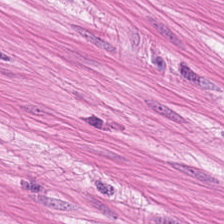Stain: hematoxylin-and-eosin stained section.
Tissue type: smooth muscle.
